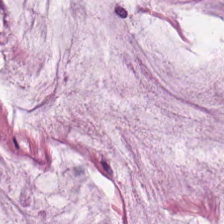Tissue class — extracellular mucin.
